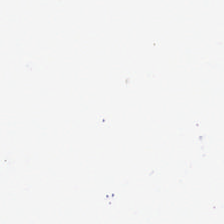FFPE tissue section. Hematoxylin-and-eosin stained section. This patch shows background (no tissue).
